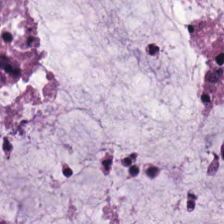H&E-stained tissue section. This patch shows extracellular mucin.
